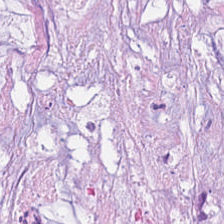H&E-stained section; the field shows extracellular mucin.
